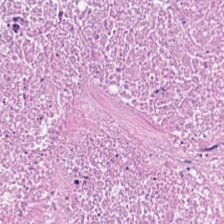H&E stain. Tissue class — necrotic debris.
